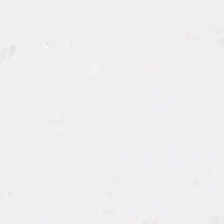H&E stain. Empty field — empty background.
